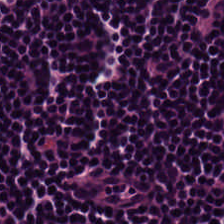Lymphocyte aggregate.
